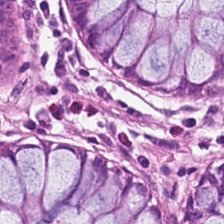Non-neoplastic colon mucosa.
